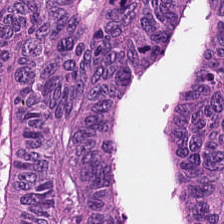Predominant tissue = malignant epithelium.
